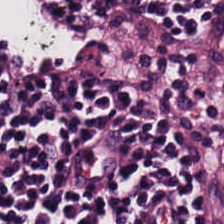Formalin-fixed paraffin-embedded section. H&E stain. 0.5 microns per pixel — Tissue class = lymphocytic infiltrate.
